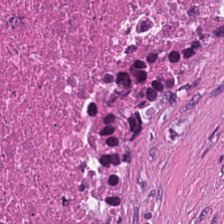Histology → debris.
